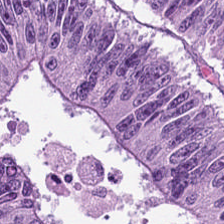H&E-stained tissue section.
Histology — malignant epithelium.
